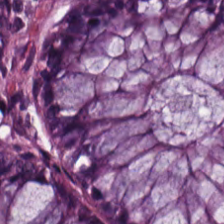Hematoxylin-and-eosin stained section · 0.5 µm per pixel.
Tissue: benign colonic mucosa.
